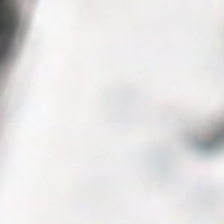Classification = background (no tissue).
